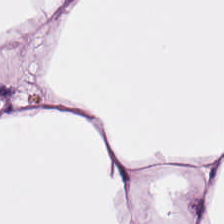Showing adipocytes.
